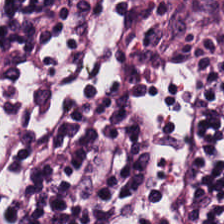Hematoxylin and eosin — Tissue type: lymphocytes.
